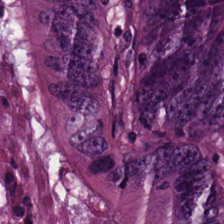FFPE; hematoxylin-and-eosin stained section — Showing tumor epithelium.
